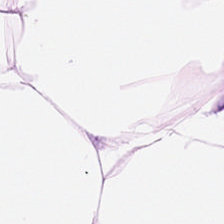Hematoxylin and eosin; 224×224 px tile. Predominant tissue: adipose.
